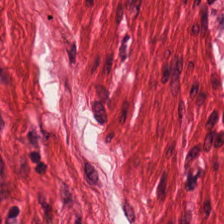FFPE tissue section; H&E stain.
Smooth muscle.
